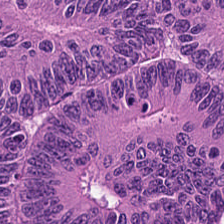H&E. Showing colorectal adenocarcinoma epithelium.
